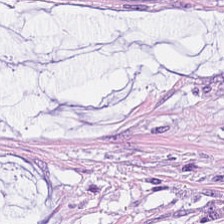H&E-stained tissue section — The tissue is extracellular mucin.
